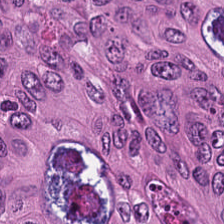Hematoxylin and eosin. Showing colorectal adenocarcinoma.
